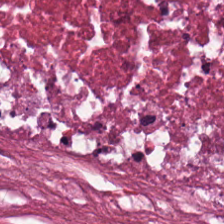H&E-stained tissue section · 224×224 px patch.
Predominantly necrotic debris.
